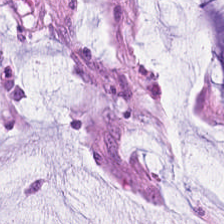H&E patch showing mucin.
